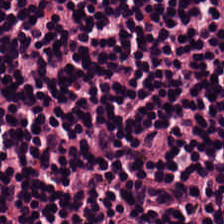Stain: H&E-stained tissue section.
Resolution: 0.5 µm/px.
Classification: lymphoid infiltrate.
